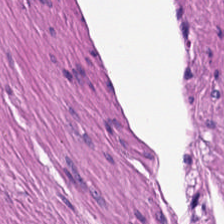0.5 µm per pixel. H&E-stained tissue section.
Impression → smooth muscle.
